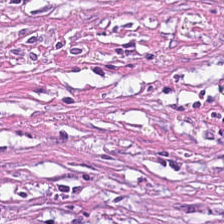This patch shows tumor-associated stroma.
